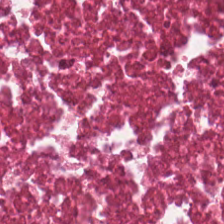Predominant tissue — necrotic debris.
